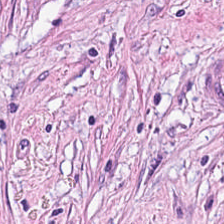This patch shows tumor-associated stroma.
